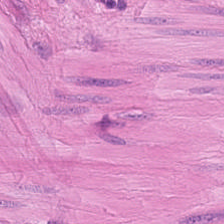H&E-stained tissue section · brightfield. Showing muscularis.
